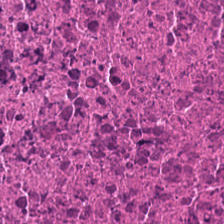The predominant tissue is necrotic debris.
